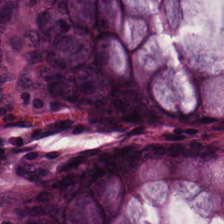Stain: hematoxylin and eosin.
Predominant tissue: normal colonic mucosa.
